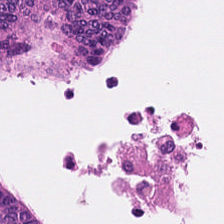H&E. Finding — colorectal adenocarcinoma epithelium.
